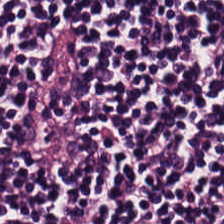Stain: H&E.
Tissue: lymphocyte aggregate.
